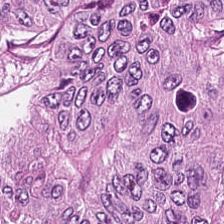WSI patch. Hematoxylin and eosin — The predominant tissue is tumor epithelium.
